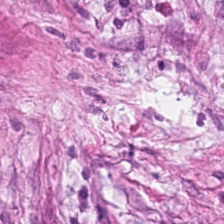Stain: H&E stain.
Tissue: desmoplastic stroma.
